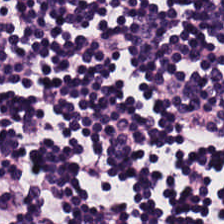Brightfield microscopy · 224×224 pixel tile · H&E.
Predominant tissue: lymphocytic infiltrate.
